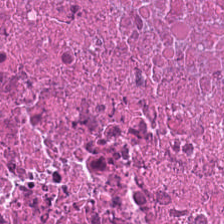Hematoxylin and eosin; FFPE — This patch shows debris.
